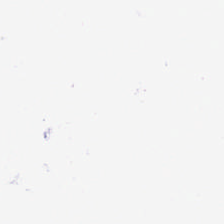H&E-stained tissue section — Q: Classify this patch.
A: Empty background.
